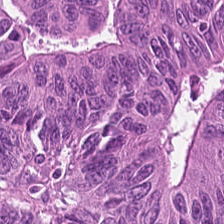Stain: hematoxylin-and-eosin stained section.
Resolution: 20× equivalent magnification.
Classification: malignant epithelium.
